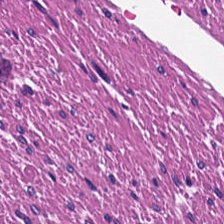Hematoxylin and eosin · 0.5 microns per pixel · brightfield — Tissue = smooth-muscle tissue.
